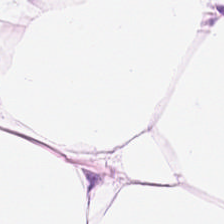Hematoxylin-and-eosin stained section; 0.5 µm/px — Tissue = adipose tissue.
